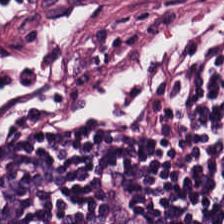Showing lymphoid infiltrate.
